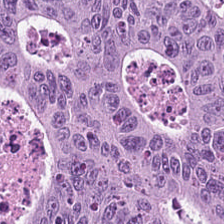Hematoxylin-and-eosin stained section — Histology → tumor epithelium.
